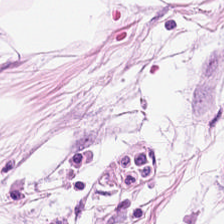0.5 µm/px. H&E stain — The classification is adipocytes.
